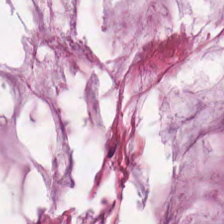H&E — The predominant tissue is mucin.
